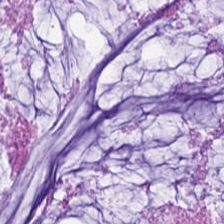Hematoxylin and eosin.
Q: What is shown in this field?
A: It is mucus.
